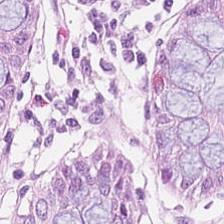Hematoxylin-and-eosin stained section. 224×224 px tile. Brightfield.
Impression → non-neoplastic colon mucosa.
